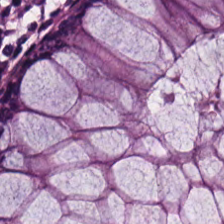Hematoxylin and eosin. Predominant tissue — normal colonic mucosa.
